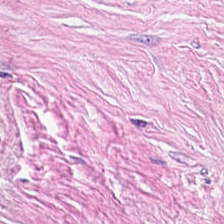H&E-stained tissue section — Q: What is shown in this field?
A: This is cancer-associated stroma.
